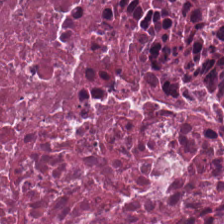Histology → necrotic debris.
